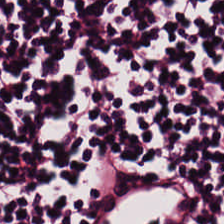The predominant tissue is lymphocytes.
